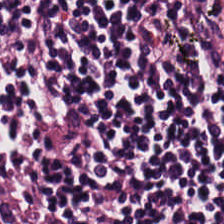The classification is lymphoid infiltrate.
